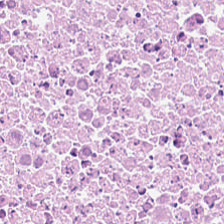Hematoxylin and eosin.
Predominantly cellular debris.
